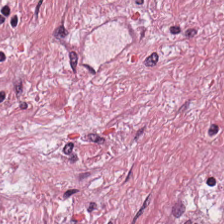H&E — cancer-associated stroma.
